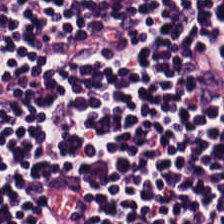20× equivalent magnification · hematoxylin and eosin.
Q: What tissue is shown?
A: Lymphocyte aggregate.
